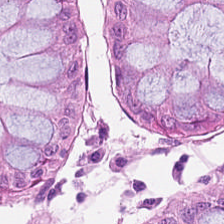{"tissue_type": "non-neoplastic colon mucosa"}
